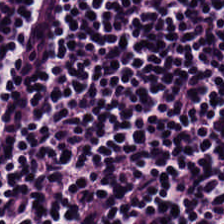224×224 px patch · hematoxylin-and-eosin stained section.
Tissue — lymphocytic infiltrate.
